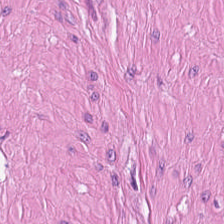Hematoxylin-and-eosin stained section. 224×224 px tile — The tissue is muscularis.
